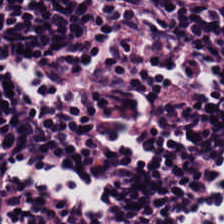H&E-stained tissue section; 224×224 px tile; FFPE. The predominant tissue is lymphocyte aggregate.
